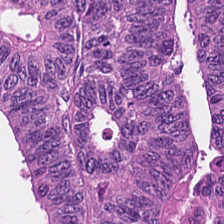Q: What is shown here?
A: This is tumor epithelium.
